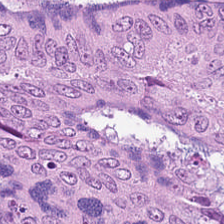Tissue type = tumor epithelium.
